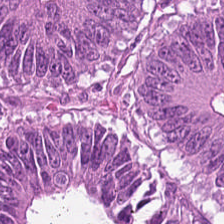Hematoxylin and eosin.
Adenocarcinoma.
